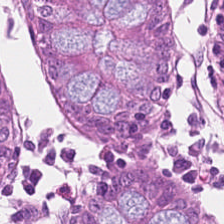Stain: H&E-stained tissue section.
Tissue: normal colon mucosa.
